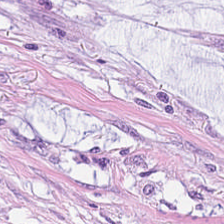FFPE tissue section. 0.5 microns per pixel. H&E stain. Finding → extracellular mucin.
